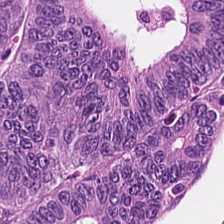Hematoxylin and eosin — The tissue type is tumor epithelium.
